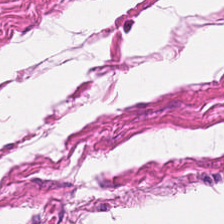Hematoxylin and eosin. 224×224 px tile. Finding → smooth-muscle tissue.
